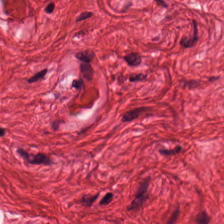Q: Classify this patch.
A: The field shows muscularis.
